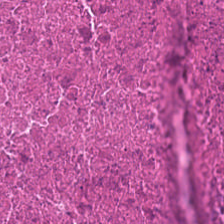H&E stain · FFPE.
The tissue is cellular debris.
